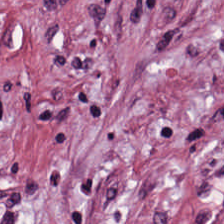WSI patch. H&E. 0.5 µm per pixel. Showing desmoplastic stroma.
